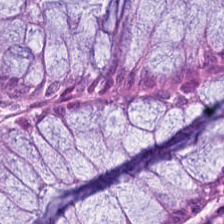0.5 microns per pixel; H&E. The predominant tissue is normal colon mucosa.
